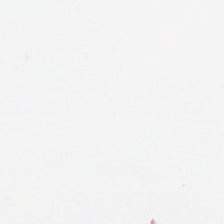Hematoxylin-and-eosin stained section — Q: What is shown in this field?
A: It is empty background.
